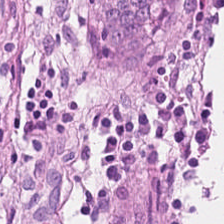Hematoxylin-and-eosin section: benign colonic mucosa.
